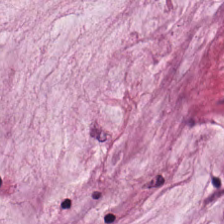H&E stain — Predominant tissue — mucin.
